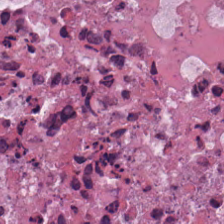Hematoxylin and eosin.
The tissue here is cellular debris.
